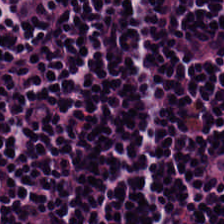H&E-stained tissue section. 0.5 µm/px.
Impression → lymphocytes.
